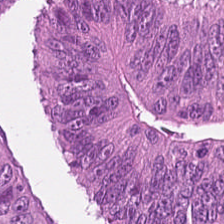Hematoxylin and eosin — Predominantly colorectal adenocarcinoma epithelium.
